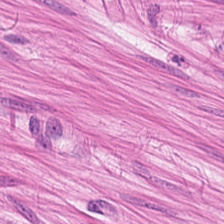Hematoxylin and eosin.
The predominant tissue is smooth muscle.
